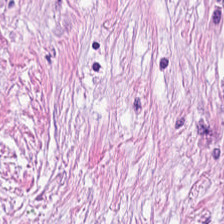Hematoxylin-and-eosin stained section. Q: What type of tissue is this?
A: This is tumor stroma.
